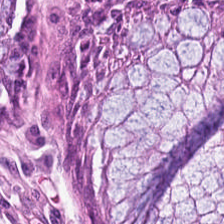H&E. FFPE.
This field is non-neoplastic colon mucosa.
